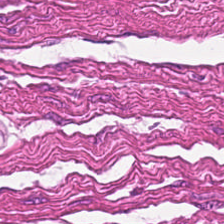H&E-stained tissue section · FFPE tissue section · 20× equivalent magnification — The tissue is smooth muscle.
